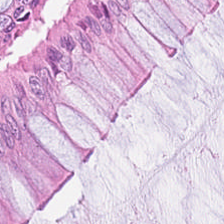Stain: hematoxylin-and-eosin stained section.
Classification: benign colonic mucosa.
